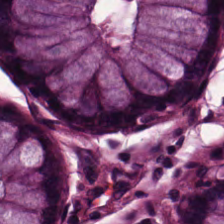H&E stain.
This patch shows normal colonic mucosa.
